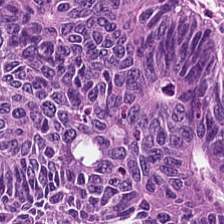H&E stain. Showing colorectal adenocarcinoma epithelium.
